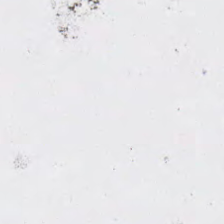H&E stain; formalin-fixed paraffin-embedded section — The field content is background.
